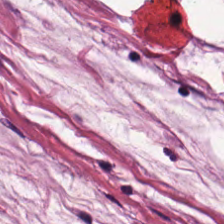H&E stain · 224×224 px tile.
Q: What tissue type is shown here?
A: Extracellular mucin.
